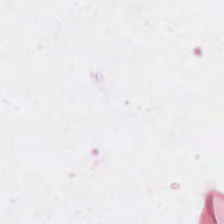Hematoxylin and eosin.
The field content is no tissue.
